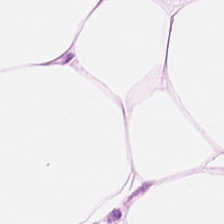Brightfield microscopy. H&E stain. The classification is adipose tissue.
